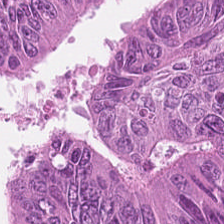Stain: hematoxylin-and-eosin stained section.
Tissue class: tumor epithelium.
